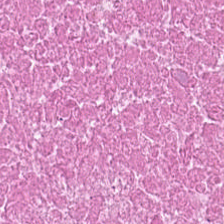H&E. {"tissue_type": "necrotic debris"}
